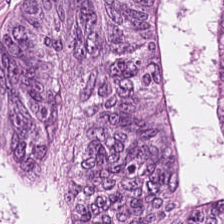224×224 px patch. H&E. Predominantly malignant epithelium.
